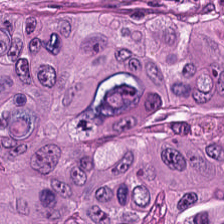Hematoxylin and eosin · 20× equivalent magnification.
This patch shows colorectal adenocarcinoma.
